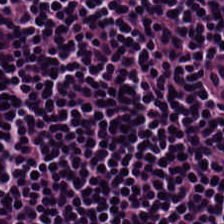Q: Identify the tissue.
A: Lymphocyte aggregate.
